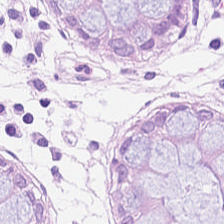Q: What does this patch show?
A: Normal colon mucosa.
